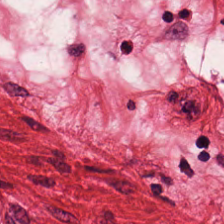Q: What is the predominant tissue type?
A: Smooth muscle.
